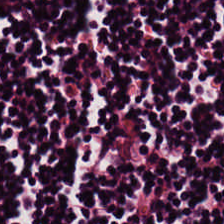224×224 pixel tile. H&E. Lymphocyte aggregate.
